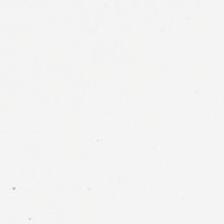Content: background (no tissue).
